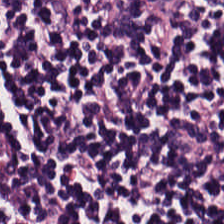Impression → lymphocytic infiltrate.
